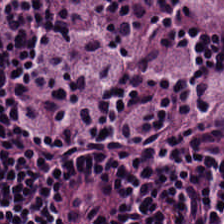Whole-slide-image patch. H&E stain.
Histology — lymphocytes.
